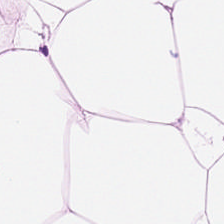Hematoxylin and eosin. Finding — adipose.
